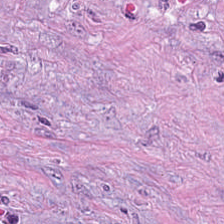H&E stain. 0.5 µm/px. Tissue class = cancer-associated stroma.
